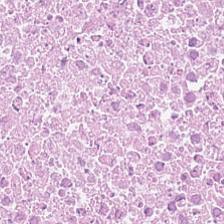Q: Classify this patch.
A: The field shows cellular debris.
